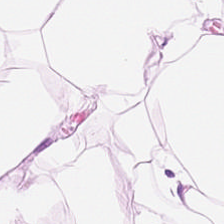Q: Classify this patch.
A: This is fat tissue.
